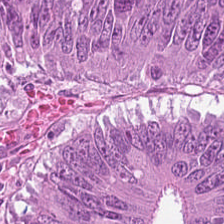This patch shows malignant epithelium.
